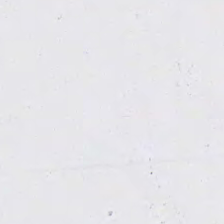Brightfield microscopy · hematoxylin-and-eosin stained section — Empty field — no tissue.
